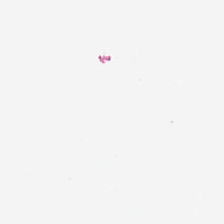Stain: hematoxylin-and-eosin stained section.
Field content: empty background.
